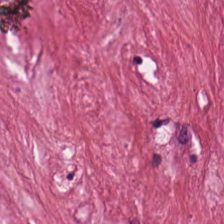224×224 px patch. H&E stain. 0.5 µm/px — Q: What tissue type is shown here?
A: This is tumor stroma.
